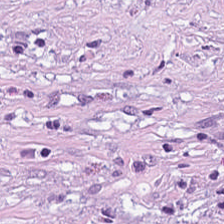Hematoxylin-and-eosin stained section. Formalin-fixed paraffin-embedded section.
Q: What is shown here?
A: This is tumor stroma.
